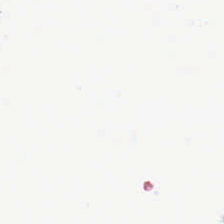Hematoxylin and eosin · 0.5 µm/px. This field is background (no tissue).
